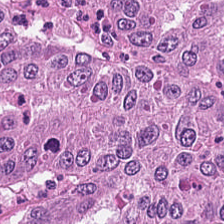Stain: H&E-stained tissue section.
Predominant tissue: colorectal adenocarcinoma epithelium.
